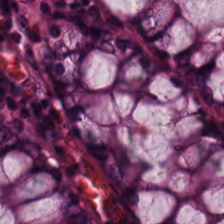H&E stain. Formalin-fixed paraffin-embedded section. Predominantly non-neoplastic colon mucosa.
